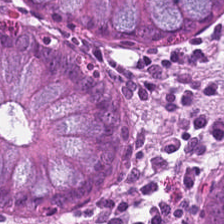Hematoxylin-and-eosin stained section · 20× equivalent magnification. Histology — benign colonic mucosa.
